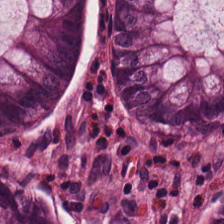Hematoxylin and eosin — Predominant tissue — non-neoplastic colon mucosa.
